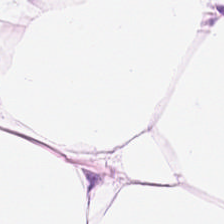Hematoxylin-and-eosin stained section. {"tissue_type": "adipose tissue"}
